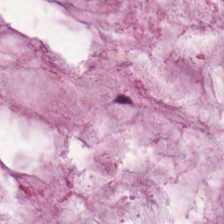Stain: H&E stain.
Classification: extracellular mucin.
